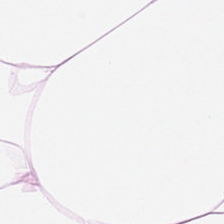H&E-stained tissue section.
{"tissue_type": "adipocytes"}
